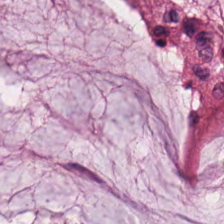224×224 px tile; H&E.
Impression → extracellular mucin.
